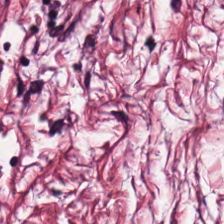Hematoxylin-and-eosin stained section. Predominantly tumor stroma.
